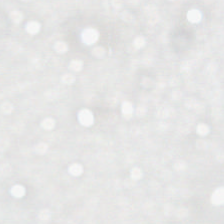Stain: hematoxylin-and-eosin stained section.
Field content: empty background.
